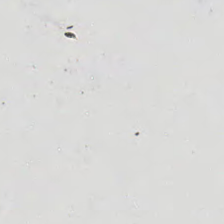FFPE. Hematoxylin-and-eosin stained section. Q: What is shown here?
A: The field shows no tissue.
